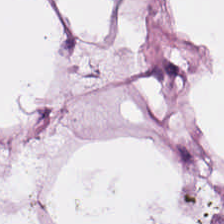This field is adipocytes.
